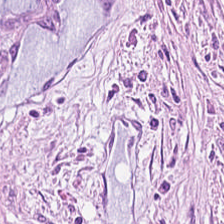Whole-slide-image patch · formalin-fixed paraffin-embedded section · hematoxylin and eosin — Classification: desmoplastic stroma.
